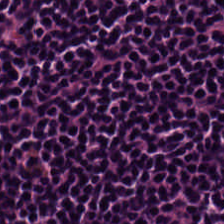Brightfield microscopy. 224×224 px patch. Hematoxylin and eosin. The tissue is lymphocytes.
